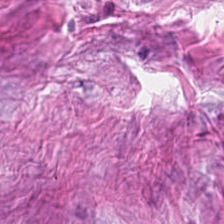224×224 pixel tile · brightfield microscopy · hematoxylin and eosin — Predominant tissue — cancer-associated stroma.
